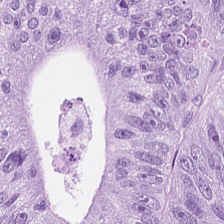Hematoxylin and eosin.
The tissue here is malignant epithelium.
